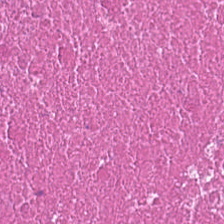H&E-stained tissue section showing cellular debris.
